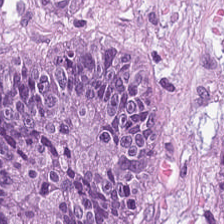H&E-stained tissue section — Colorectal adenocarcinoma epithelium.
